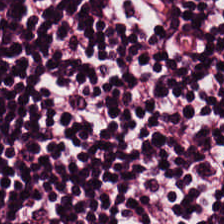Stain: hematoxylin and eosin.
Acquisition: brightfield microscopy.
Tissue type: lymphocytic infiltrate.
